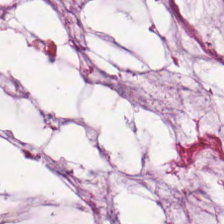Finding — extracellular mucin.
